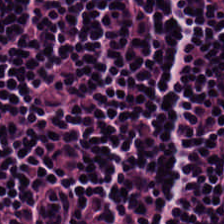H&E patch showing lymphoid infiltrate.
